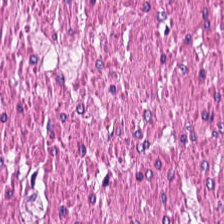Tissue: smooth muscle.
